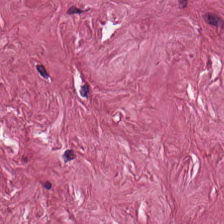H&E-stained tissue section; 20× equivalent magnification — {"tissue_type": "desmoplastic stroma"}
